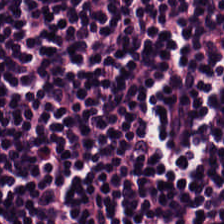0.5 µm per pixel · H&E-stained tissue section.
Q: What is shown in this field?
A: It is lymphocytic infiltrate.
